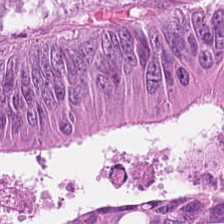Whole-slide-image patch · 0.5 µm per pixel · hematoxylin-and-eosin stained section.
This patch shows tumor epithelium.
